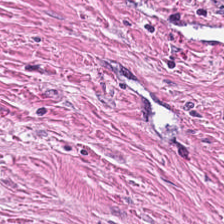H&E-stained tissue section. This field is tumor-associated stroma.
